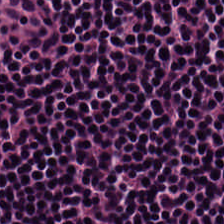H&E-stained tissue section — Classification — lymphoid infiltrate.
